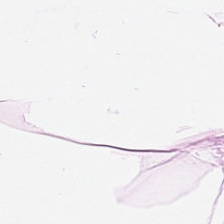Hematoxylin and eosin. 0.5 µm per pixel.
Showing fat tissue.
